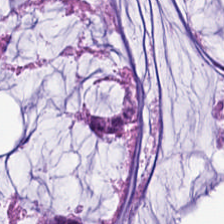Q: What is shown in this field?
A: This is mucus.
